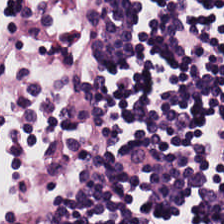Whole-slide-image patch · H&E stain. Lymphocytes.
